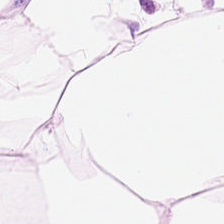The predominant tissue is adipocytes.
